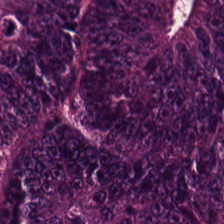Stain: H&E stain.
Resolution: 0.5 µm per pixel.
Tissue class: tumor epithelium.
